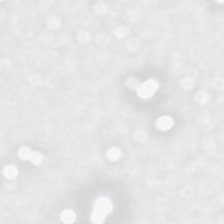H&E · brightfield · 0.5 microns per pixel — Empty field — empty background.
